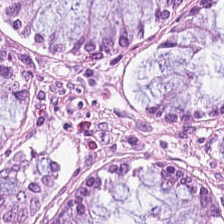Hematoxylin and eosin. Showing benign colonic mucosa.
